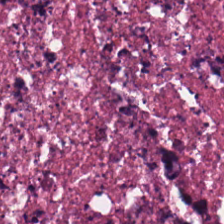Hematoxylin-and-eosin stained section. Q: What does this patch show?
A: It is necrotic debris.
